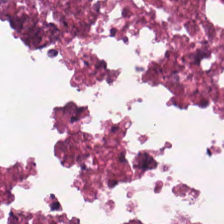Tissue type = necrotic debris.
